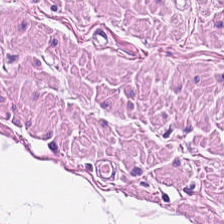H&E-stained tissue section. The tissue here is muscularis.
